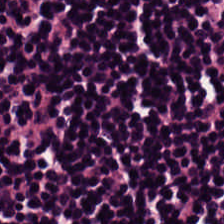Whole-slide-image patch. H&E stain.
Q: What is the predominant tissue type?
A: The field shows lymphocytic infiltrate.
